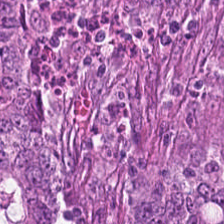H&E stain — Q: Classify this patch.
A: Colorectal adenocarcinoma epithelium.
